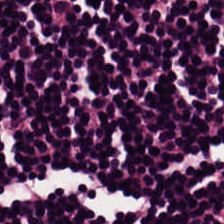H&E stain — Tissue — lymphocytic infiltrate.
